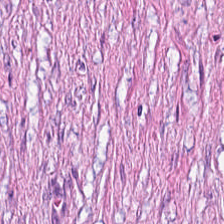{"tissue_type": "cancer-associated stroma"}
